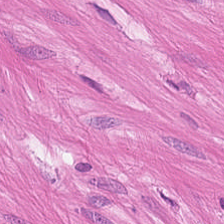Stain: H&E stain.
Classification: muscularis.
